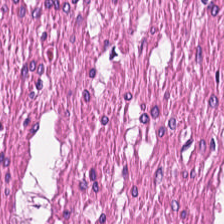Stain: hematoxylin and eosin.
Tissue class: smooth muscle.
